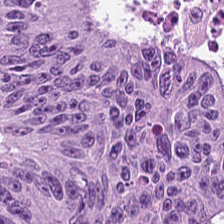H&E-stained tissue section. Tissue — tumor epithelium.
